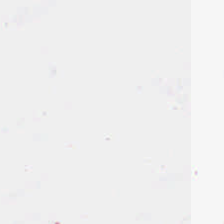Q: What is shown here?
A: Background (no tissue).
